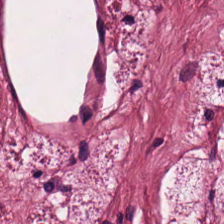H&E-stained tissue section · formalin-fixed paraffin-embedded section. Finding → cancer-associated stroma.
